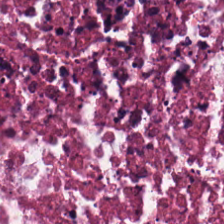Hematoxylin and eosin; FFPE — Predominantly cellular debris.
